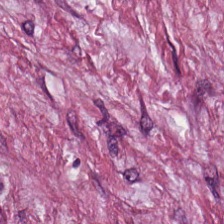0.5 µm/px. Hematoxylin-and-eosin stained section. This patch shows tumor stroma.
